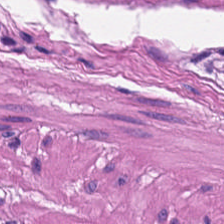Hematoxylin and eosin · FFPE.
Smooth-muscle tissue.
